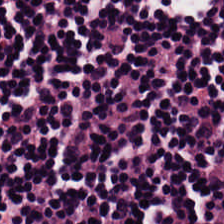Stain: H&E-stained tissue section.
Preparation: FFPE tissue section.
Tissue type: lymphocyte aggregate.
